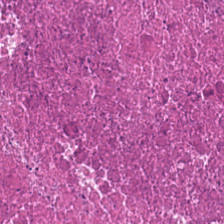Brightfield microscopy; hematoxylin-and-eosin stained section. Necrotic debris.
